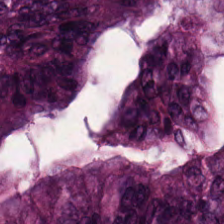The tissue here is tumor epithelium.
